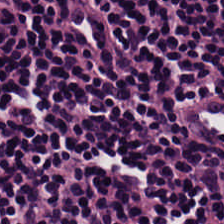Hematoxylin and eosin · 0.5 µm/px. Predominant tissue — lymphocytic infiltrate.
